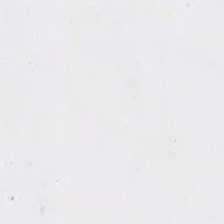20× equivalent magnification · H&E stain · whole-slide-image patch. Background — no tissue in this field.
